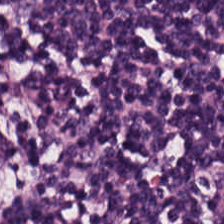Stain: hematoxylin-and-eosin stained section.
Resolution: 0.5 µm per pixel.
Predominant tissue: lymphocyte aggregate.
